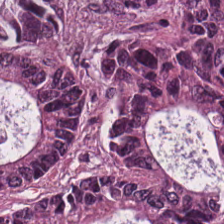H&E patch showing adenocarcinoma.
